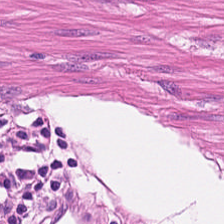H&E. Q: What tissue is shown?
A: It is muscularis.
